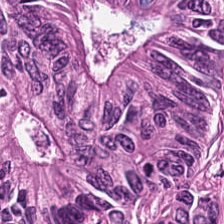Hematoxylin-and-eosin stained section.
Tissue: malignant epithelium.
